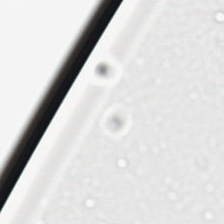Finding → background.
